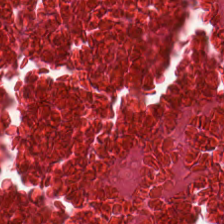H&E — cellular debris.
